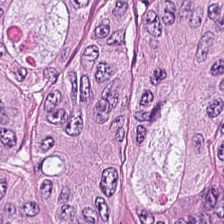Hematoxylin-and-eosin stained section · brightfield — Tissue = malignant epithelium.
